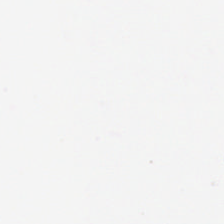Stain: H&E.
Tile size: 224×224 px patch.
Content: background.
